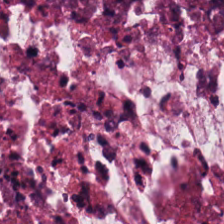H&E stain.
Q: What is shown in this field?
A: Cellular debris.
